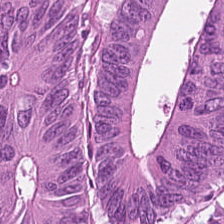20× equivalent magnification. Hematoxylin and eosin — The tissue here is tumor epithelium.
